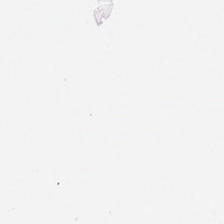Histology → no tissue.
